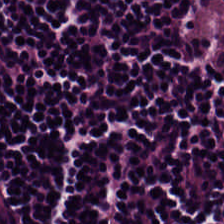Hematoxylin and eosin. The tissue here is lymphocytic infiltrate.
